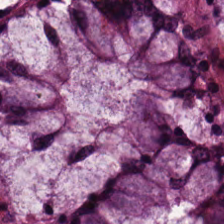Brightfield microscopy; H&E. The predominant tissue is benign colonic mucosa.
